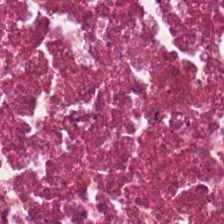Stain: H&E stain.
Classification: necrotic debris.
